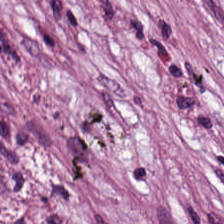H&E stain. The predominant tissue is desmoplastic stroma.
